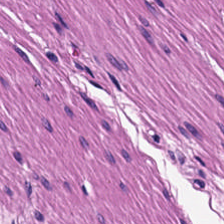Brightfield microscopy; hematoxylin and eosin. The tissue class is muscularis.
